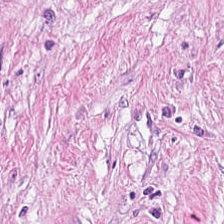Predominant tissue = tumor-associated stroma.
